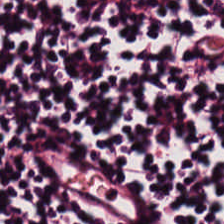Hematoxylin and eosin; brightfield microscopy; 224×224 pixel tile — This field is lymphocytic infiltrate.
